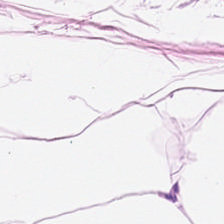H&E-stained tissue section.
Q: What does this patch show?
A: The field shows adipocytes.
